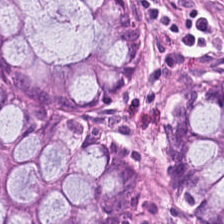FFPE; hematoxylin and eosin — Tissue = non-neoplastic colon mucosa.
